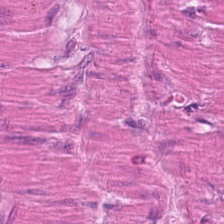H&E-stained tissue section · 224×224 px patch.
Q: What type of tissue is this?
A: It is smooth-muscle tissue.
